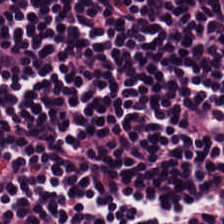Finding → lymphoid infiltrate.
